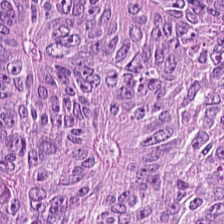H&E-stained section; the field shows malignant epithelium.
